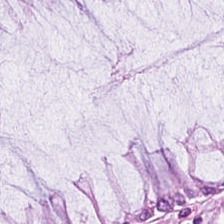Impression → benign colonic mucosa.
